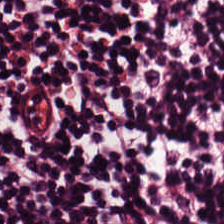Hematoxylin-and-eosin stained section. 0.5 µm per pixel. Whole-slide-image patch — Tissue type — lymphocytes.
